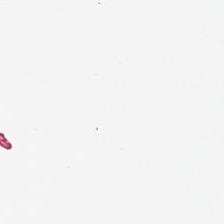H&E. FFPE.
Q: What does this patch show?
A: It is background.
